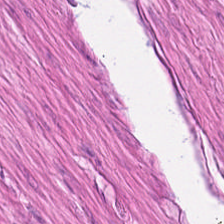Showing muscularis.
